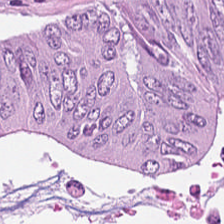Whole-slide-image patch · hematoxylin-and-eosin stained section. Q: What is shown in this field?
A: The field shows tumor epithelium.
